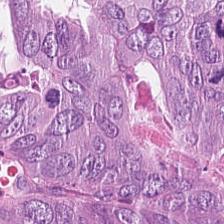Hematoxylin and eosin — This patch shows colorectal adenocarcinoma.
